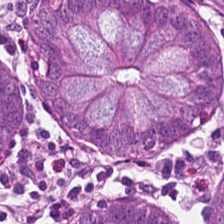Stain: hematoxylin and eosin.
Preparation: FFPE.
Acquisition: whole-slide-image patch.
Predominant tissue: normal colon mucosa.
